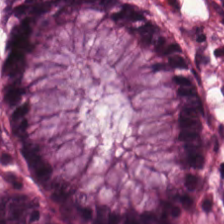Tissue type: non-neoplastic colon mucosa.
